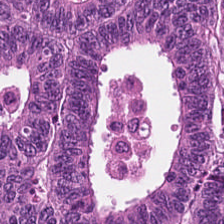This field is malignant epithelium.
